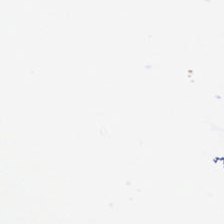224×224 px patch; hematoxylin and eosin. Field content = no tissue.
